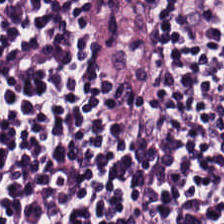Hematoxylin and eosin · 0.5 µm/px. Predominant tissue: lymphocytic infiltrate.
